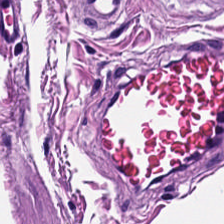This field is smooth-muscle tissue.
